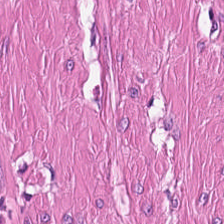The classification is smooth-muscle tissue.
